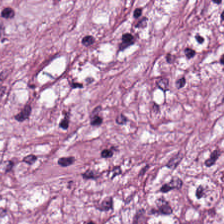H&E patch showing desmoplastic stroma.
